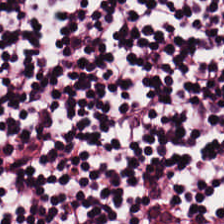Stain: H&E-stained tissue section.
Classification: lymphocytes.
